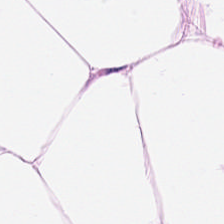Hematoxylin-and-eosin stained section. Brightfield microscopy. 20× equivalent magnification — Showing adipocytes.
